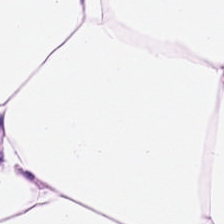Hematoxylin and eosin · 0.5 µm per pixel — This patch shows adipocytes.
